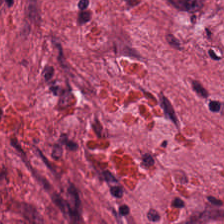Stain: H&E.
Predominant tissue: tumor-associated stroma.
